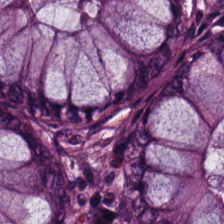Predominantly non-neoplastic colon mucosa.
